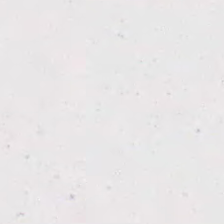Stain: hematoxylin-and-eosin stained section.
Content: empty background.
